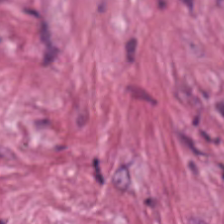Stain: H&E-stained tissue section.
Predominant tissue: desmoplastic stroma.
